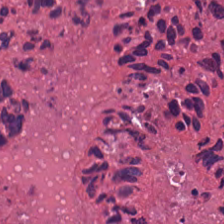H&E · formalin-fixed paraffin-embedded section. This field is cellular debris.
